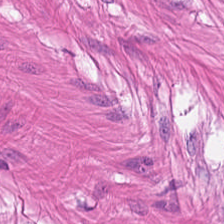Predominant tissue: smooth-muscle tissue.
